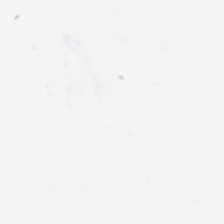Classification: empty background.
